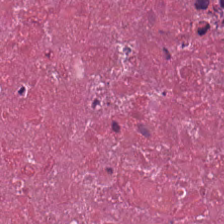H&E stain · formalin-fixed paraffin-embedded section — The tissue is cellular debris.
